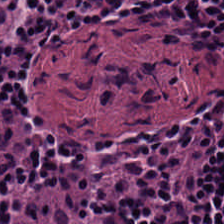H&E stain.
This patch shows lymphocytes.
